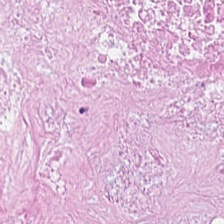Tissue = cellular debris.
